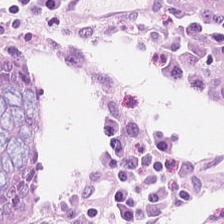H&E-stained tissue section. This patch shows normal colon mucosa.
